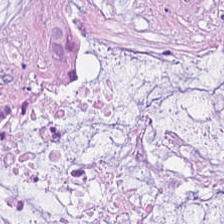224×224 px patch; H&E stain. This field is extracellular mucin.
